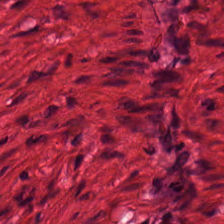{"tissue_type": "smooth muscle"}
